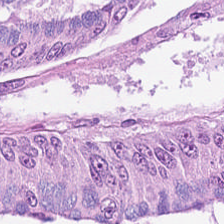H&E-stained tissue section.
The tissue class is tumor epithelium.
